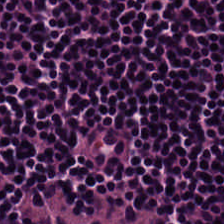FFPE tissue section. Hematoxylin and eosin. Brightfield — This field is lymphoid infiltrate.
